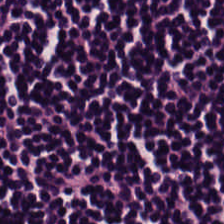0.5 µm per pixel · H&E-stained tissue section · brightfield.
Tissue = lymphocyte aggregate.
